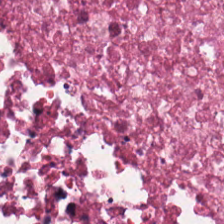Brightfield microscopy · 0.5 µm per pixel · H&E.
Necrotic debris.
